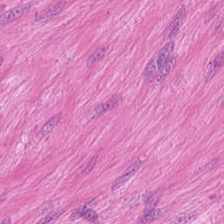H&E · FFPE tissue section · 0.5 microns per pixel. Predominantly smooth muscle.
